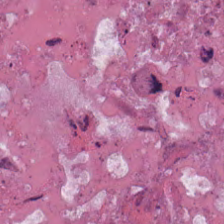224×224 pixel tile; H&E-stained tissue section.
The predominant tissue is debris.
